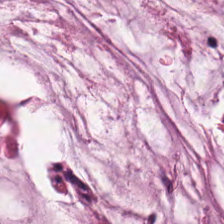Stain: H&E-stained tissue section.
Classification: mucin.
